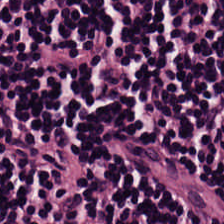Hematoxylin-and-eosin stained section — Q: What is shown in this field?
A: The field shows lymphocytic infiltrate.
